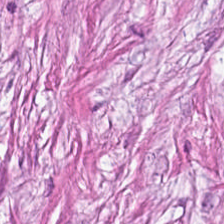Formalin-fixed paraffin-embedded section. Brightfield. H&E-stained tissue section. Tissue class = cancer-associated stroma.
